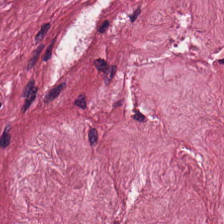0.5 µm per pixel; hematoxylin-and-eosin stained section.
Finding — tumor stroma.
